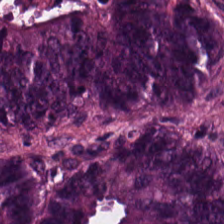H&E.
Q: What is the predominant tissue type?
A: Colorectal adenocarcinoma epithelium.
